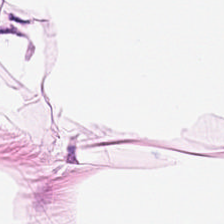Brightfield. H&E stain.
Adipose tissue.
